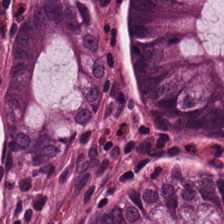H&E stain; 0.5 microns per pixel. Q: Classify this patch.
A: It is benign colonic mucosa.
